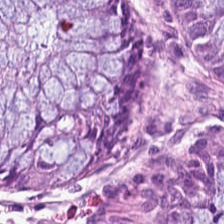H&E stain. Q: What is shown here?
A: Normal colonic mucosa.
